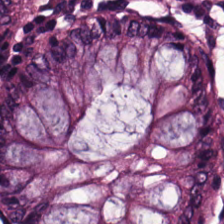H&E-stained tissue section — Predominantly non-neoplastic colon mucosa.
